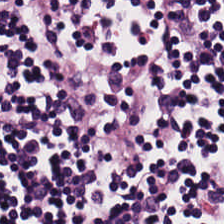0.5 microns per pixel; H&E stain; FFPE. Histology → lymphoid infiltrate.
